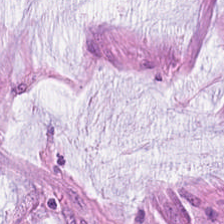Showing extracellular mucin.
